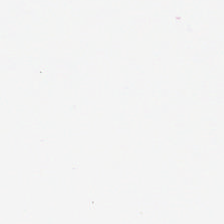0.5 µm per pixel; H&E-stained tissue section — Q: Classify this patch.
A: The field shows no tissue.
